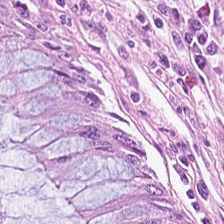H&E-stained tissue section.
The tissue class is normal colonic mucosa.
